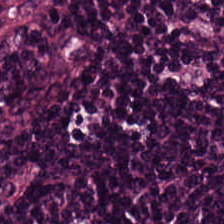0.5 µm per pixel · H&E. This field is lymphocytes.
